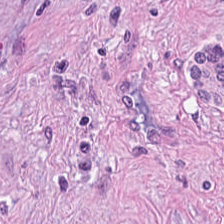FFPE tissue section. 0.5 µm per pixel. Hematoxylin-and-eosin stained section — The predominant tissue is tumor stroma.
